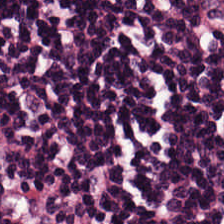H&E-stained tissue section showing lymphocyte aggregate.
